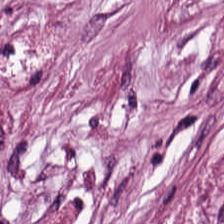H&E stain; FFPE tissue section.
Tissue type = desmoplastic stroma.
